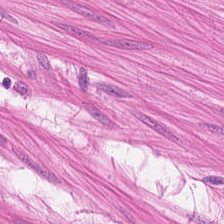Hematoxylin and eosin.
Q: What is shown here?
A: The field shows muscularis.
